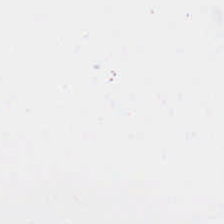Histology — background (no tissue).
